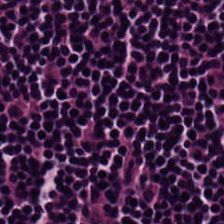H&E patch showing lymphocyte aggregate.
